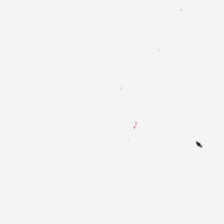Stain: H&E-stained tissue section.
Tile size: 224×224 px patch.
Acquisition: brightfield microscopy.
Content: background (no tissue).
